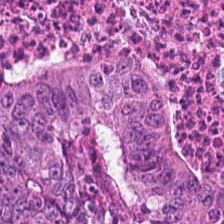Tissue: tumor epithelium.
